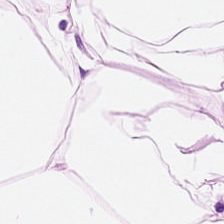Finding → adipose tissue.
